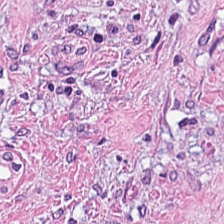Q: Classify this patch.
A: It is cancer-associated stroma.
